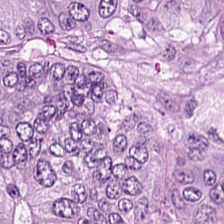Hematoxylin-and-eosin stained section — Colorectal adenocarcinoma.
